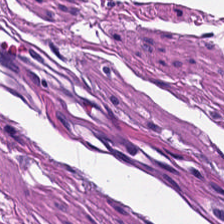Hematoxylin and eosin. This field is smooth muscle.
